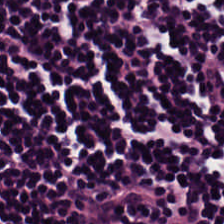Impression — lymphocytes.
